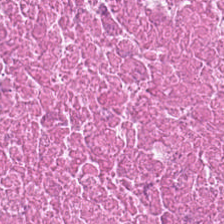H&E-stained tissue section — Classification: cellular debris.
